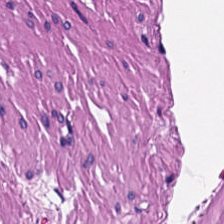H&E. 224×224 px tile — Tissue class = muscularis.
